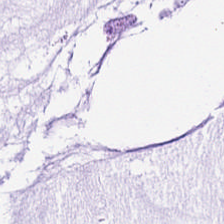WSI patch · hematoxylin-and-eosin stained section.
Q: Classify this patch.
A: Mucus.
